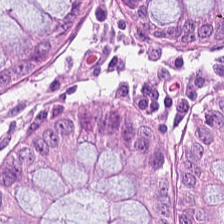Stain: hematoxylin-and-eosin stained section.
Preparation: formalin-fixed paraffin-embedded section.
Acquisition: brightfield.
Classification: non-neoplastic colon mucosa.
